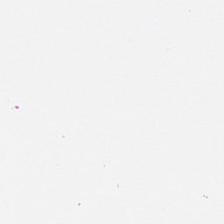H&E stain — Empty field — background.
